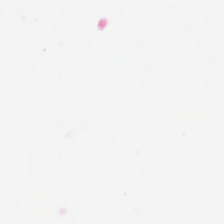Q: What is shown here?
A: This is background.
